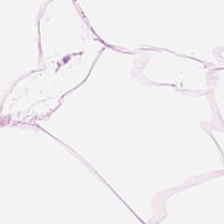Hematoxylin-and-eosin stained section — Tissue class — fat tissue.
